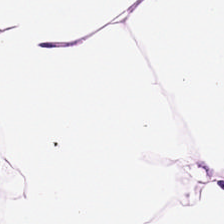Q: What type of tissue is this?
A: It is adipose tissue.
